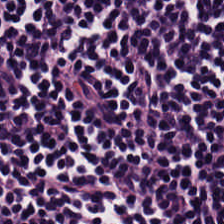H&E.
Q: Identify the tissue.
A: Lymphocytic infiltrate.
